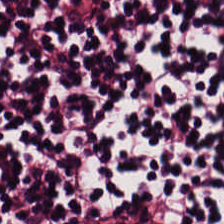H&E; WSI patch. Finding — lymphocytes.
